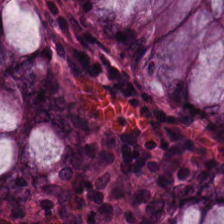Formalin-fixed paraffin-embedded section. Hematoxylin-and-eosin stained section — Tissue class — normal colonic mucosa.
